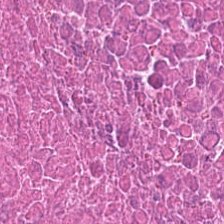0.5 µm/px; H&E-stained tissue section; whole-slide-image patch — This patch shows necrotic debris.
